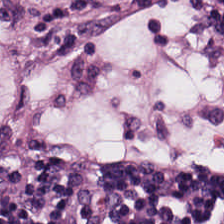H&E · 224×224 px tile — {"tissue_type": "lymphocyte aggregate"}
